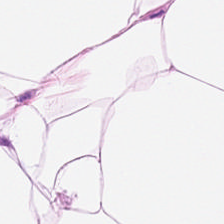H&E stain — Predominantly fat tissue.
